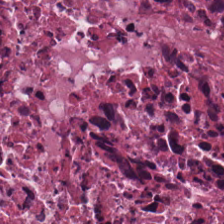Q: What is shown in this field?
A: It is debris.
